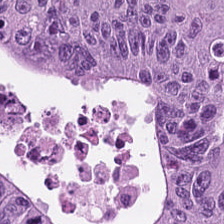H&E-stained tissue section. {"tissue_type": "tumor epithelium"}
